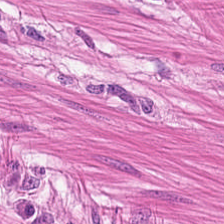H&E stain.
Tissue type = muscularis.
